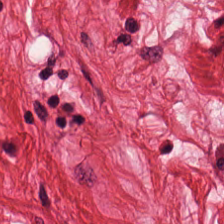H&E-stained tissue section — Predominantly smooth muscle.
